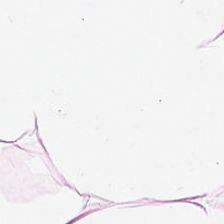H&E stain — Tissue type — fat tissue.
